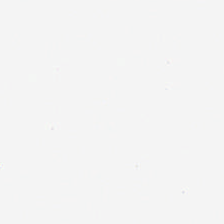Q: What is shown in this field?
A: This is no tissue.
